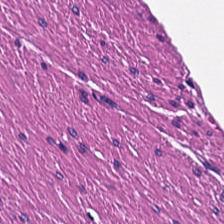Hematoxylin-and-eosin stained section.
This field is smooth-muscle tissue.
